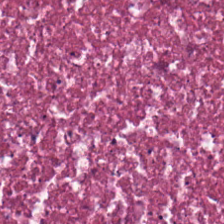H&E-stained tissue section. Histology — necrotic debris.
